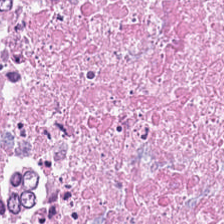H&E — Q: What is the predominant tissue type?
A: Cellular debris.
